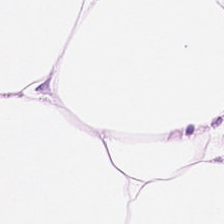Classification — adipose tissue.
